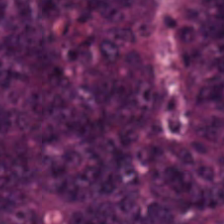Q: What is shown in this field?
A: It is adenocarcinoma.
